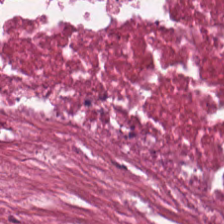Classification — debris.
